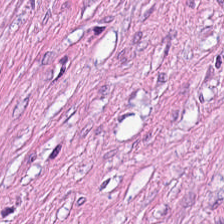Impression — desmoplastic stroma.
